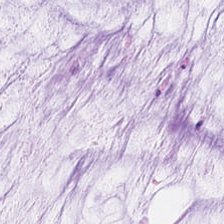20× equivalent magnification. FFPE tissue section. Hematoxylin-and-eosin stained section. Q: What tissue is shown?
A: The field shows extracellular mucin.
